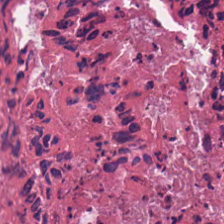H&E. 224×224 pixel tile.
Impression — debris.
